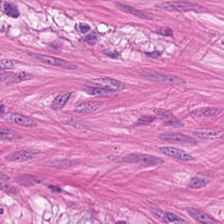H&E stain.
Q: What is shown in this field?
A: This is smooth-muscle tissue.
